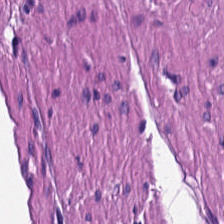Formalin-fixed paraffin-embedded section. Hematoxylin and eosin. This patch shows smooth muscle.
